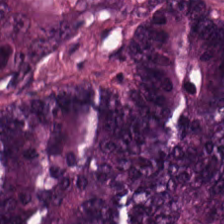H&E stain; 224×224 pixel tile. Q: What tissue is shown?
A: Tumor epithelium.
